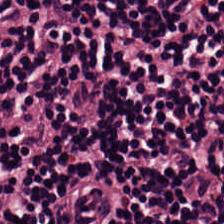Stain: hematoxylin and eosin.
Tile size: 224×224 px patch.
Preparation: FFPE tissue section.
Tissue class: lymphocytes.
